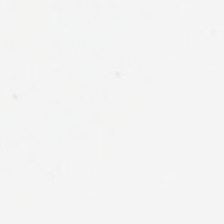224×224 pixel tile; H&E stain; 0.5 µm per pixel. Classification — background.
